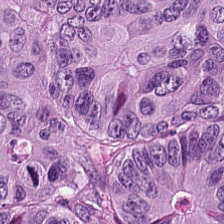Hematoxylin and eosin · formalin-fixed paraffin-embedded section. The tissue here is tumor epithelium.
